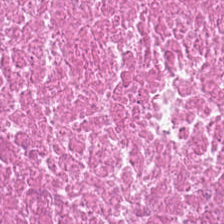FFPE. H&E. Tissue = cellular debris.
